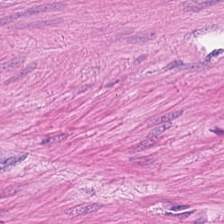FFPE. Hematoxylin and eosin. Tissue = smooth muscle.
